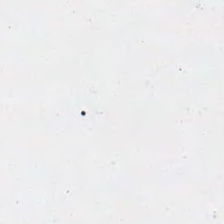Hematoxylin-and-eosin stained section. Empty field — empty background.
